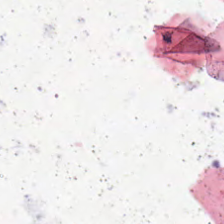Content — background.
